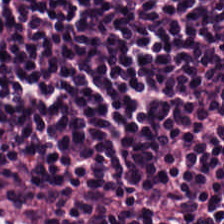Predominantly lymphocyte aggregate.
